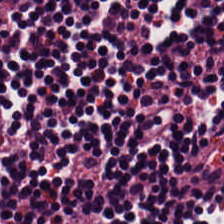Hematoxylin-and-eosin stained section.
This patch shows lymphocytes.
